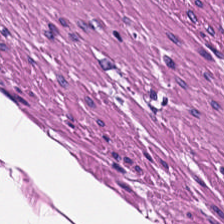FFPE tissue section. Hematoxylin and eosin. Finding → smooth-muscle tissue.
